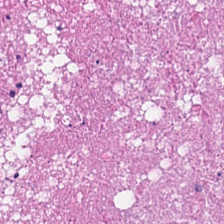The tissue is cellular debris.
